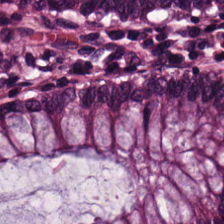Stain: H&E stain.
Acquisition: brightfield.
Tissue: non-neoplastic colon mucosa.
